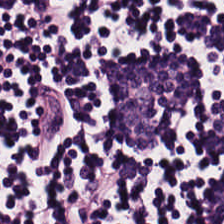H&E — {"tissue_type": "lymphocytes"}
